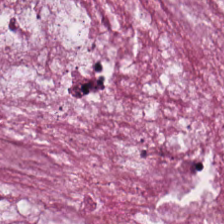The classification is mucus.
